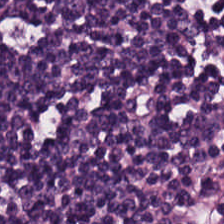H&E-stained tissue section — Predominantly lymphoid infiltrate.
